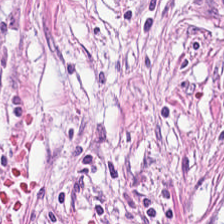H&E stain. The tissue is tumor stroma.
